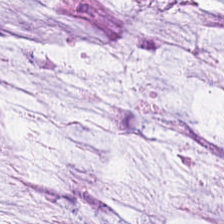H&E — Tissue class: mucus.
